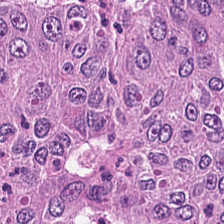H&E stain · 0.5 µm per pixel · WSI patch. Tissue type — adenocarcinoma.
